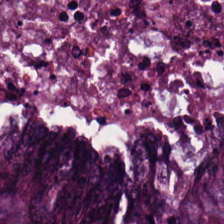Predominant tissue: adenocarcinoma.
